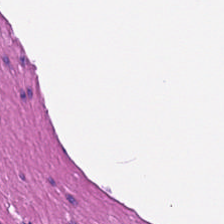Formalin-fixed paraffin-embedded section · H&E.
{"tissue_type": "muscularis"}
